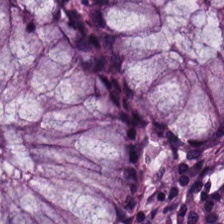H&E-stained tissue section.
Q: What is shown in this field?
A: It is normal colon mucosa.
